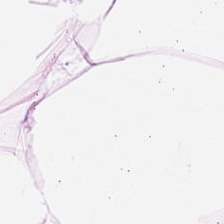Stain: H&E.
Tissue type: fat tissue.
